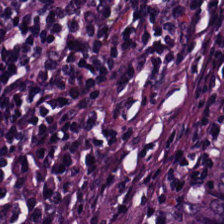H&E — lymphocytes.
